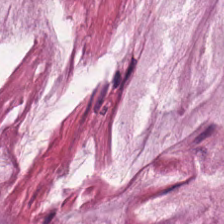H&E stain. Q: What does this patch show?
A: Mucin.
